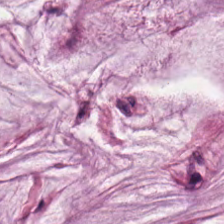Mucin.
